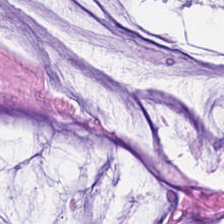Q: What tissue is shown?
A: Mucus.
